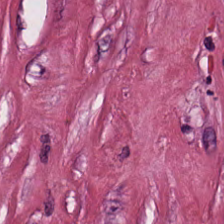Stain: H&E-stained tissue section.
Tissue type: cancer-associated stroma.
